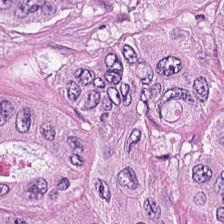H&E-stained tissue section. Predominant tissue = adenocarcinoma.
